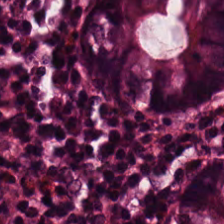H&E-stained tissue section. The predominant tissue is non-neoplastic colon mucosa.
